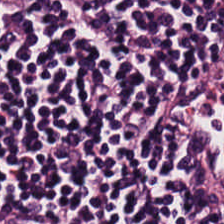Brightfield microscopy. H&E stain. Showing lymphocytic infiltrate.
